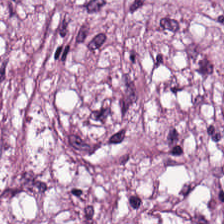Predominantly tumor-associated stroma.
